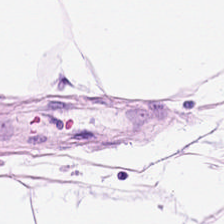Hematoxylin and eosin.
Adipose tissue.
